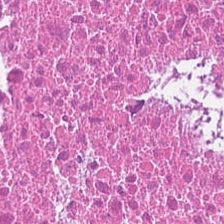FFPE tissue section; H&E stain.
Showing necrotic debris.
